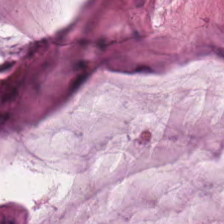H&E stain — Q: What tissue type is shown here?
A: It is mucin.
